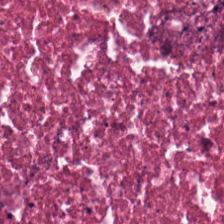Hematoxylin-and-eosin stained section.
Classification = debris.
